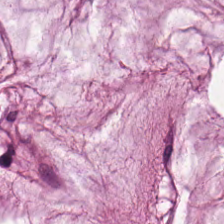0.5 µm per pixel · WSI patch · H&E stain.
The predominant tissue is mucin.
